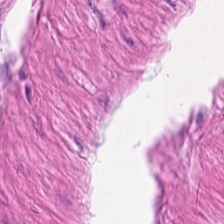H&E-stained tissue section; 224×224 pixel tile.
Q: What is shown in this field?
A: It is smooth-muscle tissue.
